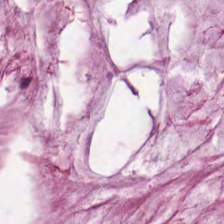WSI patch; H&E stain.
The predominant tissue is mucus.
